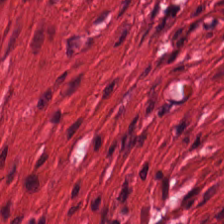Hematoxylin-and-eosin section: muscularis.
